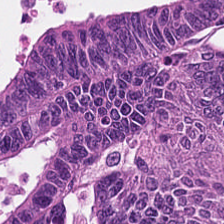Hematoxylin and eosin; 20× equivalent magnification. Showing tumor epithelium.
